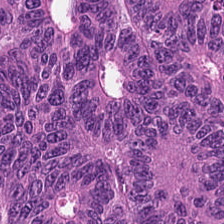H&E-stained tissue section.
The tissue is tumor epithelium.
